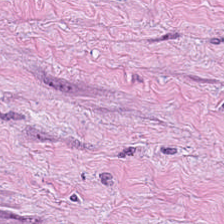224×224 px patch; hematoxylin-and-eosin stained section — Cancer-associated stroma.
